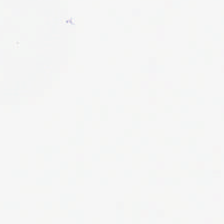Hematoxylin-and-eosin stained section — Q: What is shown in this field?
A: It is no tissue.
